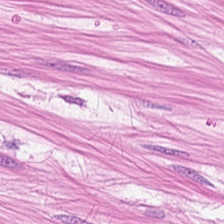Stain: hematoxylin and eosin.
Tile size: 224×224 px patch.
Predominant tissue: smooth-muscle tissue.
